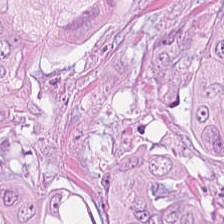WSI patch · H&E stain.
This field is malignant epithelium.
